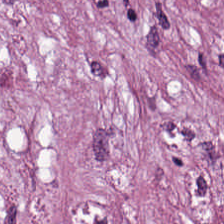H&E stain. Impression — desmoplastic stroma.
